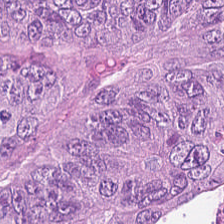Tissue type: colorectal adenocarcinoma.
